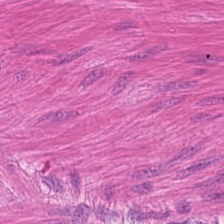Stain: H&E stain.
Classification: smooth-muscle tissue.
